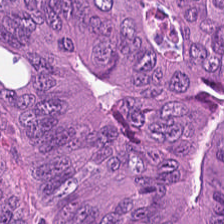H&E-stained tissue section. FFPE — Classification: colorectal adenocarcinoma.
